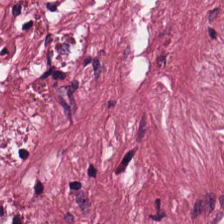Formalin-fixed paraffin-embedded section; H&E.
The predominant tissue is tumor-associated stroma.
